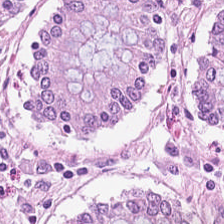The predominant tissue is benign colonic mucosa.
